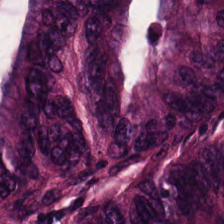H&E-stained tissue section — Tissue type — colorectal adenocarcinoma epithelium.
